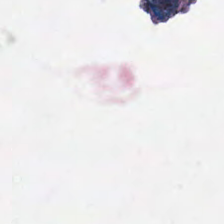H&E; 224×224 px tile — The content is no tissue.
